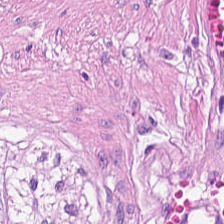Hematoxylin-and-eosin stained section — Histology → smooth muscle.
